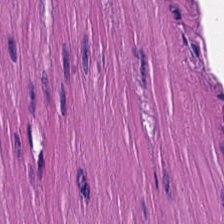Stain: H&E stain.
Tissue class: smooth-muscle tissue.
